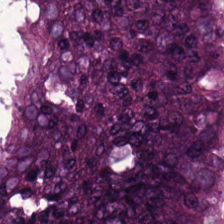H&E stain · WSI patch · 20× equivalent magnification.
Tissue class = malignant epithelium.
